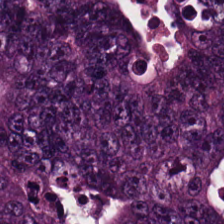Hematoxylin and eosin. 0.5 microns per pixel. 224×224 px patch. Classification = tumor epithelium.
